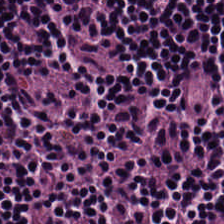H&E — The predominant tissue is lymphocytes.
